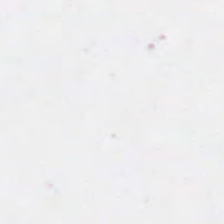Q: What is shown here?
A: It is background (no tissue).
